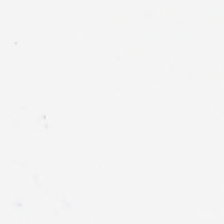Hematoxylin and eosin — Q: What is shown in this field?
A: It is empty background.
